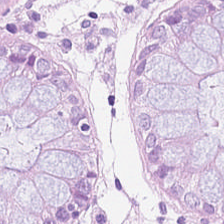H&E-stained tissue section; FFPE tissue section; brightfield. Predominant tissue: non-neoplastic colon mucosa.
